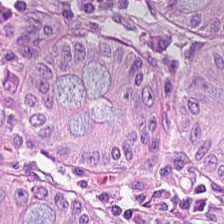0.5 µm/px; hematoxylin and eosin.
Histology → non-neoplastic colon mucosa.
